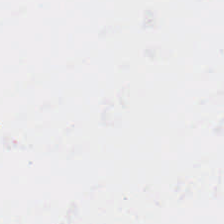Finding → background (no tissue).
